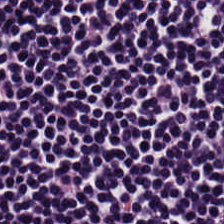Hematoxylin and eosin — Q: What does this patch show?
A: Lymphocyte aggregate.
